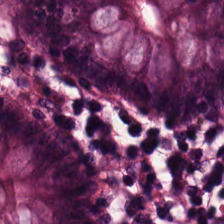224×224 pixel tile. H&E-stained tissue section — The predominant tissue is normal colon mucosa.
